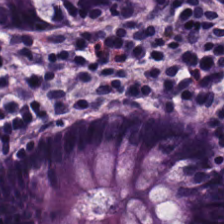{"tissue_type": "non-neoplastic colon mucosa"}
